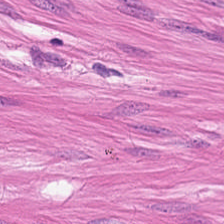H&E stain.
The tissue here is muscularis.
